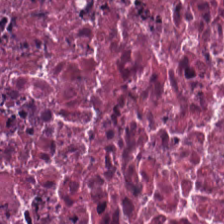Hematoxylin and eosin — Classification = debris.
